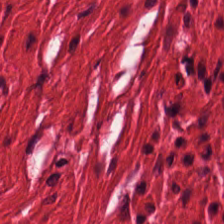Stain: H&E.
Classification: smooth-muscle tissue.
